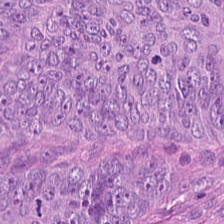Q: What type of tissue is this?
A: The field shows malignant epithelium.
